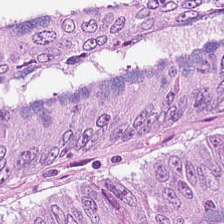Impression → colorectal adenocarcinoma epithelium.
